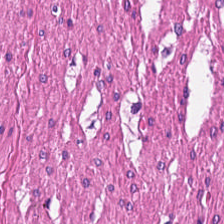H&E stain — Showing smooth muscle.
